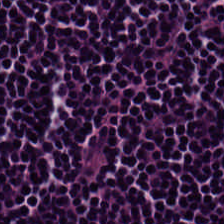The tissue here is lymphocytes.
